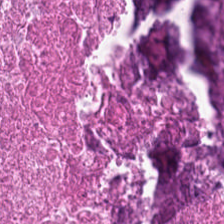H&E. {"tissue_type": "necrotic debris"}
